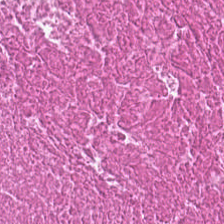H&E.
Showing necrotic debris.
